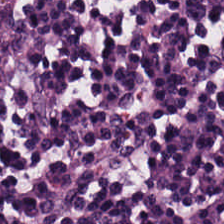Hematoxylin-and-eosin stained section — Q: Identify the tissue.
A: This is lymphoid infiltrate.
